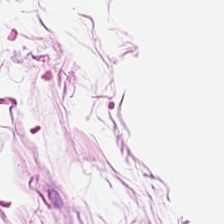Stain: H&E stain.
Preparation: formalin-fixed paraffin-embedded section.
Tissue type: adipose tissue.
